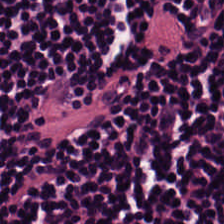20× equivalent magnification; hematoxylin and eosin.
This field is lymphocytes.
